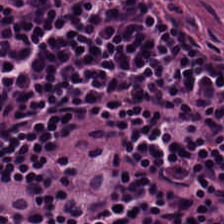H&E-stained tissue section; 224×224 pixel tile — This patch shows lymphoid infiltrate.
